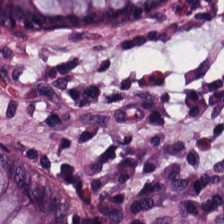Hematoxylin-and-eosin stained section · brightfield. Predominant tissue: normal colon mucosa.
